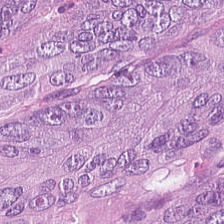Hematoxylin and eosin. FFPE tissue section — Predominant tissue: colorectal adenocarcinoma.
